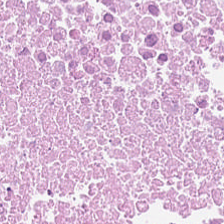H&E-stained tissue section showing cellular debris.
